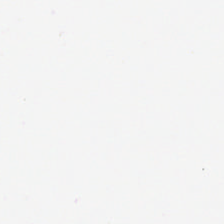Stain: H&E.
Tile size: 224×224 px patch.
Classification: no tissue.
